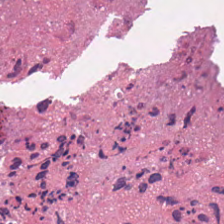Stain: H&E.
Tissue class: debris.
